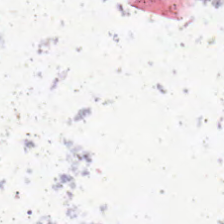No tissue present; background only.
